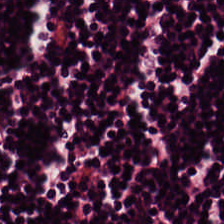224×224 px tile. Hematoxylin-and-eosin stained section. This patch shows lymphoid infiltrate.
